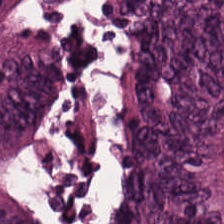H&E-stained tissue section. The tissue is colorectal adenocarcinoma epithelium.
